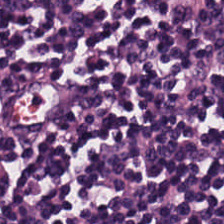H&E stain; 20× equivalent magnification; whole-slide-image patch. Lymphocytic infiltrate.
